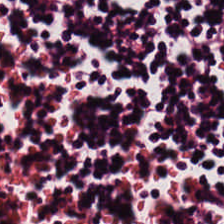H&E.
{"tissue_type": "lymphoid infiltrate"}
